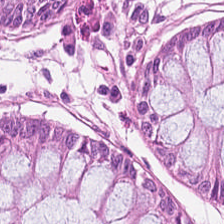Hematoxylin and eosin. Q: What type of tissue is this?
A: The field shows normal colonic mucosa.
